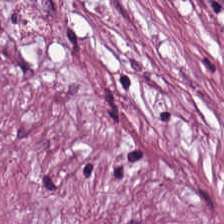Predominant tissue = desmoplastic stroma.
